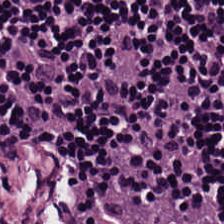H&E. FFPE — Histology → lymphoid infiltrate.
